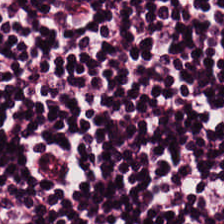H&E-stained section; the field shows lymphocytes.
